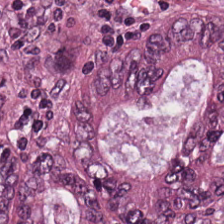H&E. Impression — tumor epithelium.
